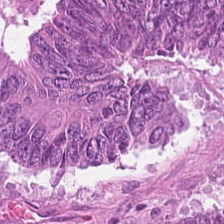Hematoxylin and eosin. Q: What is the predominant tissue type?
A: It is colorectal adenocarcinoma.
